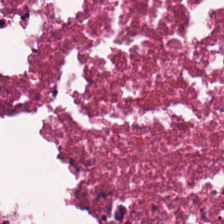H&E. 224×224 px patch.
Tissue = necrotic debris.
